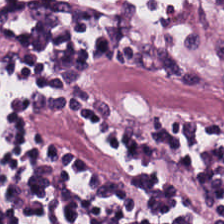Hematoxylin and eosin.
Histology — lymphocyte aggregate.
